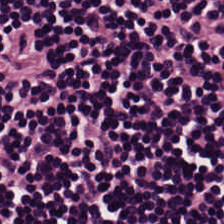Hematoxylin-and-eosin stained section. The predominant tissue is lymphocyte aggregate.
